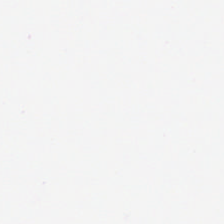Stain: hematoxylin-and-eosin stained section.
Content: background (no tissue).
